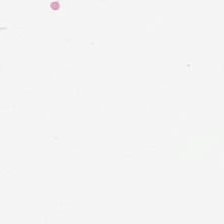Hematoxylin-and-eosin stained section; 224×224 pixel tile.
Q: What is shown in this field?
A: The field shows background (no tissue).
